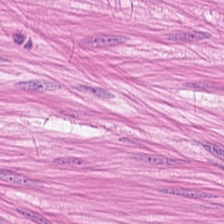Q: What tissue type is shown here?
A: It is muscularis.
